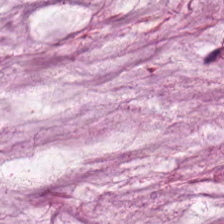Hematoxylin-and-eosin stained section · FFPE tissue section. This field is mucus.
